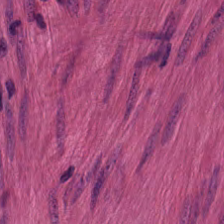H&E-stained tissue section. {"tissue_type": "smooth-muscle tissue"}
